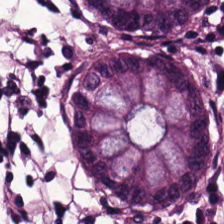This patch shows normal colonic mucosa.
